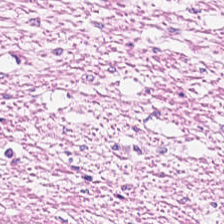Finding → smooth muscle.
